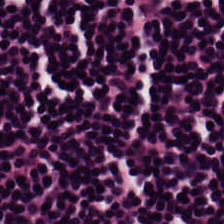Hematoxylin-and-eosin stained section. Q: Identify the tissue.
A: It is lymphocytic infiltrate.
